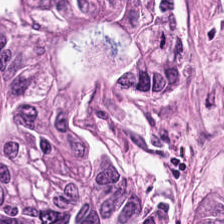H&E — Predominantly adenocarcinoma.
